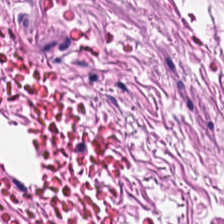H&E-stained tissue section. Histology → muscularis.
